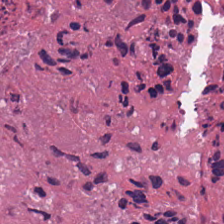224×224 px patch. Hematoxylin and eosin. 0.5 microns per pixel — Tissue type = necrotic debris.
